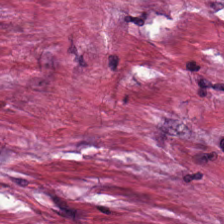H&E.
Histology → cancer-associated stroma.
